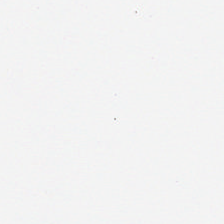H&E stain — Q: What does this patch show?
A: No tissue.
